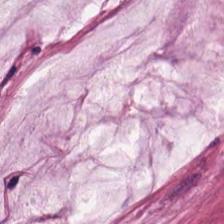H&E-stained section; the field shows extracellular mucin.
